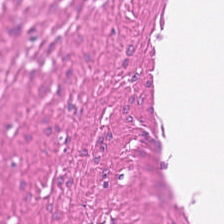H&E patch showing smooth-muscle tissue.
